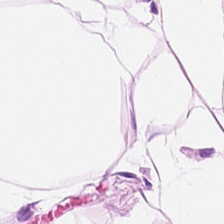Hematoxylin-and-eosin stained section — Q: Classify this patch.
A: This is adipose.
